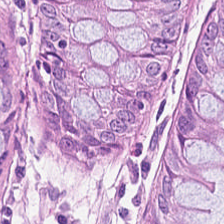0.5 microns per pixel · H&E — Tissue: benign colonic mucosa.
